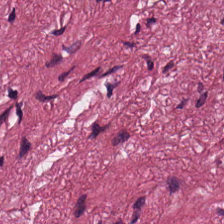H&E · 20× equivalent magnification · brightfield microscopy — Q: What does this patch show?
A: The field shows tumor-associated stroma.
